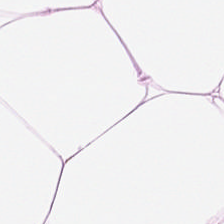Hematoxylin-and-eosin stained section.
{"tissue_type": "fat tissue"}
